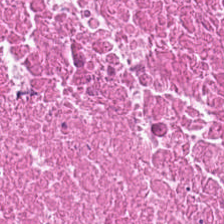Stain: hematoxylin and eosin.
Predominant tissue: cellular debris.
